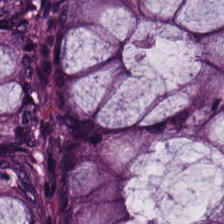FFPE; H&E-stained tissue section.
Q: What does this patch show?
A: This is benign colonic mucosa.
